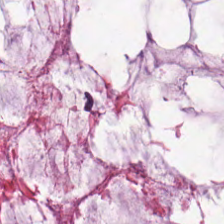224×224 px patch; brightfield microscopy; H&E — Q: What type of tissue is this?
A: This is mucin.
